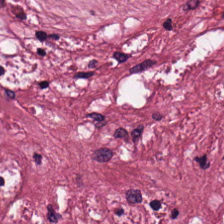H&E stain; 224×224 pixel tile.
Q: What type of tissue is this?
A: The field shows cancer-associated stroma.
